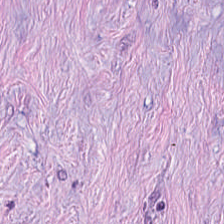The tissue here is tumor stroma.
